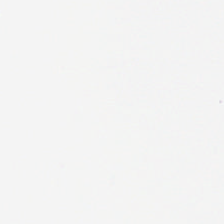The classification is background.
